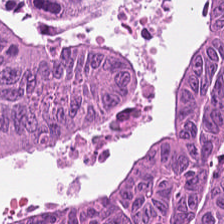Hematoxylin-and-eosin stained section — Colorectal adenocarcinoma epithelium.
